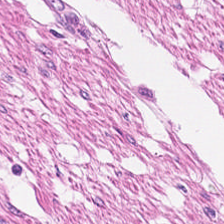Q: What does this patch show?
A: Smooth muscle.
